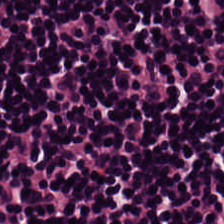Hematoxylin and eosin — Showing lymphoid infiltrate.
